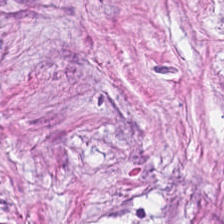H&E-stained tissue section · 224×224 px tile · FFPE tissue section. Predominantly desmoplastic stroma.
